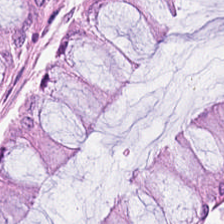Hematoxylin-and-eosin stained section. Tissue class = non-neoplastic colon mucosa.
